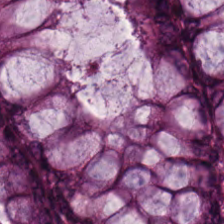Formalin-fixed paraffin-embedded section; brightfield; hematoxylin-and-eosin stained section — Q: Classify this patch.
A: It is normal colon mucosa.
